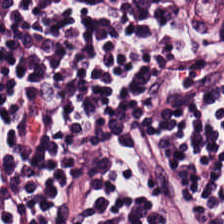Hematoxylin and eosin.
The classification is lymphocyte aggregate.
